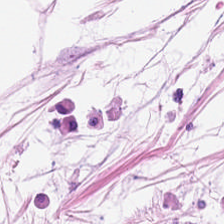Stain: hematoxylin-and-eosin stained section.
Predominant tissue: fat tissue.
